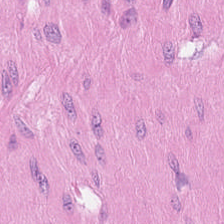H&E stain.
Showing smooth muscle.
